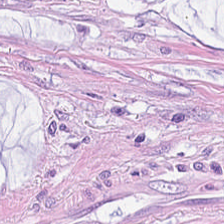Hematoxylin and eosin — {"tissue_type": "mucus"}
